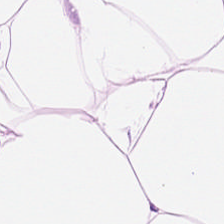Tissue type — adipose tissue.
